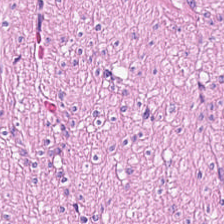Hematoxylin and eosin — The tissue here is smooth muscle.
